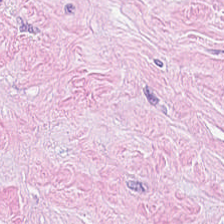H&E-stained tissue section; 224×224 px patch.
The predominant tissue is desmoplastic stroma.
